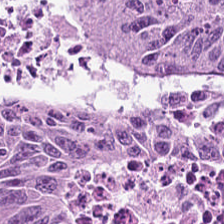H&E-stained section; the field shows colorectal adenocarcinoma.
